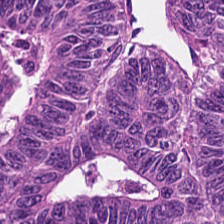Hematoxylin and eosin. 224×224 px patch.
The tissue is malignant epithelium.
